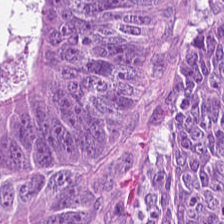Stain: H&E stain.
Tile size: 224×224 px patch.
Tissue class: colorectal adenocarcinoma epithelium.
